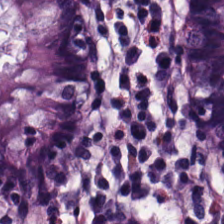Classification — non-neoplastic colon mucosa.
